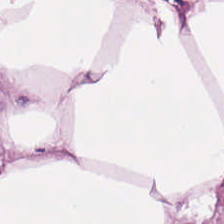H&E stain; FFPE. Q: What is shown here?
A: It is adipose tissue.
